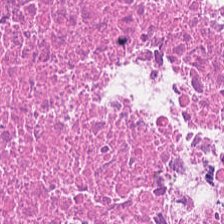Classification: debris.
